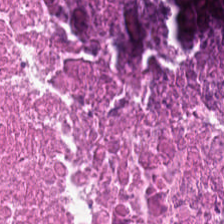Hematoxylin and eosin. This patch shows debris.
